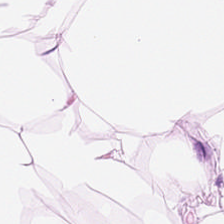Formalin-fixed paraffin-embedded section. Hematoxylin-and-eosin stained section — Q: Identify the tissue.
A: It is adipose tissue.
